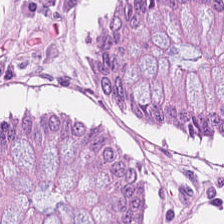Stain: H&E.
Preparation: FFPE tissue section.
Tissue type: normal colon mucosa.
